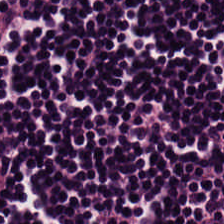This patch shows lymphocytic infiltrate.
